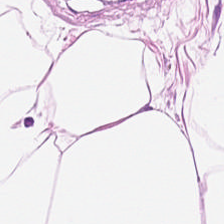H&E-stained tissue section; formalin-fixed paraffin-embedded section.
Tissue class: adipose tissue.
